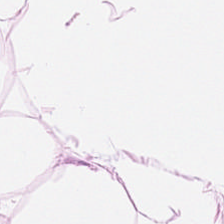Showing adipose tissue.
